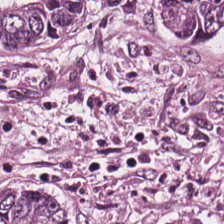H&E-stained tissue section — Predominantly tumor epithelium.
